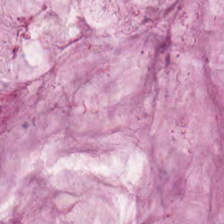H&E-stained tissue section.
{"tissue_type": "mucus"}
